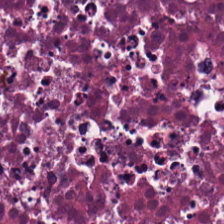H&E. 0.5 µm/px. Classification = necrotic debris.
